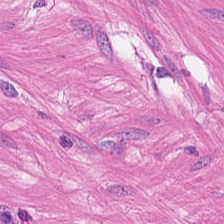224×224 pixel tile · H&E — Q: What is the predominant tissue type?
A: The field shows smooth-muscle tissue.
